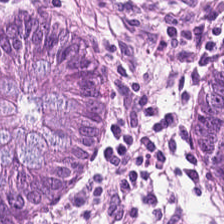Hematoxylin and eosin. Whole-slide-image patch.
Predominant tissue = normal colonic mucosa.
